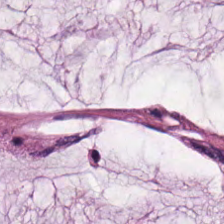Hematoxylin and eosin. {"tissue_type": "mucus"}
